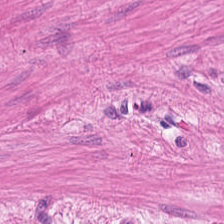H&E. Q: What is shown here?
A: It is smooth-muscle tissue.
